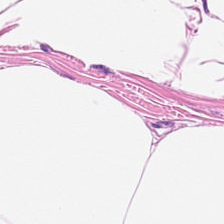Stain: H&E.
Classification: adipocytes.
